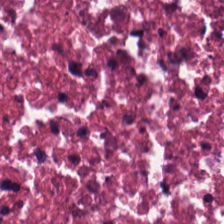H&E-stained tissue section.
The tissue type is necrotic debris.
